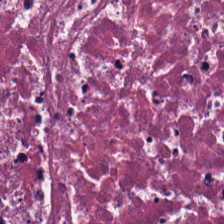The tissue class is cellular debris.
